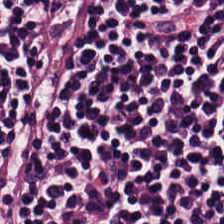H&E stain. This field is lymphocyte aggregate.
